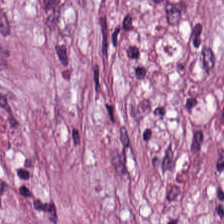H&E.
The tissue type is desmoplastic stroma.
